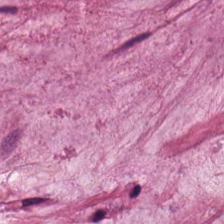H&E-stained tissue section — This patch shows mucus.
